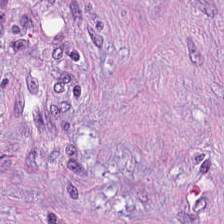Q: What does this patch show?
A: It is tumor-associated stroma.
